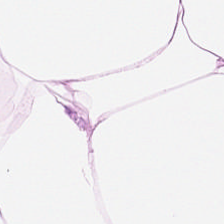H&E-stained tissue section · formalin-fixed paraffin-embedded section · 0.5 µm per pixel — The predominant tissue is adipocytes.
